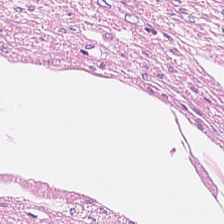H&E-stained tissue section — Tissue type = smooth-muscle tissue.
